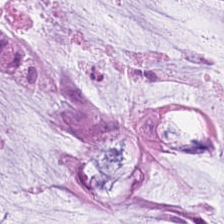H&E stain. Tissue — mucus.
